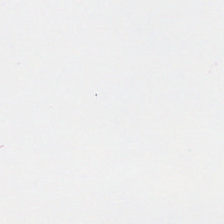Hematoxylin-and-eosin stained section.
Empty field — no tissue.
